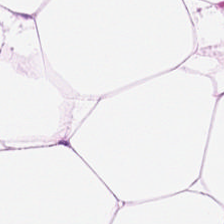Hematoxylin-and-eosin stained section · 0.5 µm per pixel.
This field is adipose tissue.
